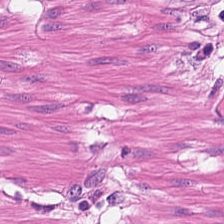Hematoxylin and eosin. FFPE tissue section — Q: What is shown in this field?
A: It is smooth muscle.
